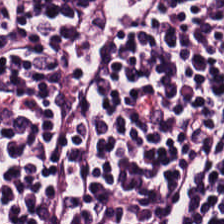WSI patch; hematoxylin and eosin. Predominant tissue = lymphocyte aggregate.
